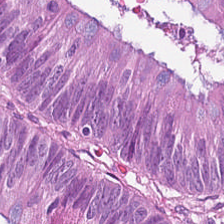Stain: hematoxylin-and-eosin stained section.
Resolution: 20× equivalent magnification.
Tile size: 224×224 px tile.
Tissue: colorectal adenocarcinoma epithelium.
